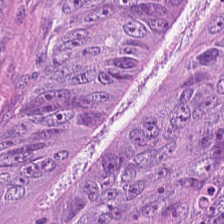H&E. Finding → colorectal adenocarcinoma epithelium.
